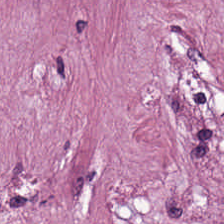H&E.
Showing tumor stroma.
